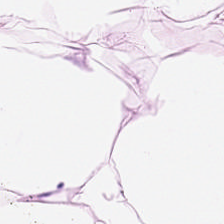H&E. Tissue: fat tissue.
